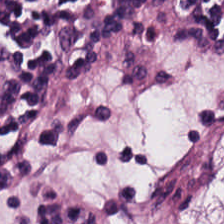H&E. Q: What does this patch show?
A: It is lymphocyte aggregate.
